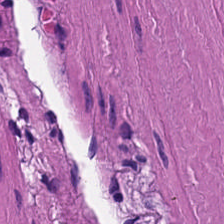H&E stain · FFPE.
Predominantly smooth-muscle tissue.
